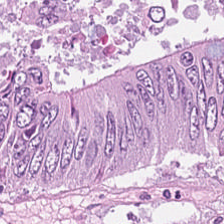0.5 microns per pixel · H&E. The predominant tissue is adenocarcinoma.
